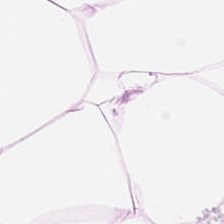H&E-stained tissue section. 0.5 microns per pixel.
The classification is adipose.
